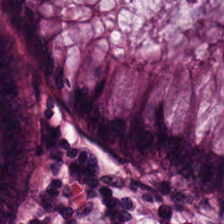H&E-stained tissue section — Tissue = benign colonic mucosa.
